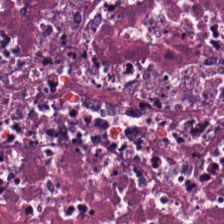H&E — Q: What is shown here?
A: This is debris.
